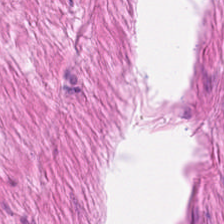0.5 microns per pixel · H&E stain · whole-slide-image patch. Histology — smooth-muscle tissue.
